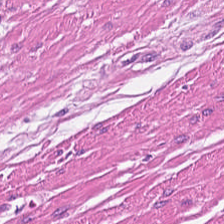FFPE; 20× equivalent magnification; H&E stain — This field is smooth-muscle tissue.
